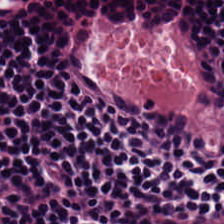0.5 µm per pixel. Whole-slide-image patch. Hematoxylin-and-eosin stained section — The tissue here is lymphocytes.
